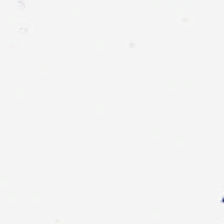Hematoxylin and eosin. 224×224 px tile.
Field content: background (no tissue).
